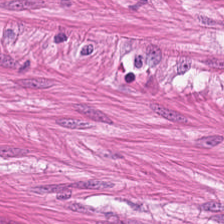224×224 px patch · H&E-stained tissue section — Finding → muscularis.
